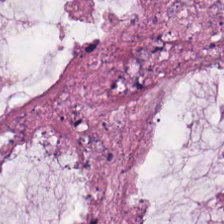0.5 µm/px · hematoxylin and eosin. The tissue here is extracellular mucin.
